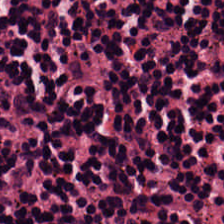224×224 pixel tile. H&E-stained tissue section. Predominantly lymphocytes.
